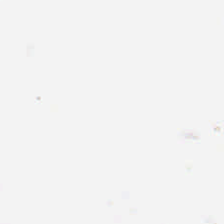Hematoxylin-and-eosin stained section · whole-slide-image patch · 224×224 px patch.
Q: What does this patch show?
A: It is no tissue.
